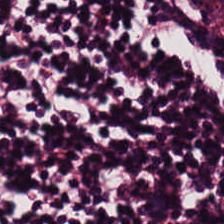224×224 px patch. Hematoxylin-and-eosin stained section — Q: What is shown in this field?
A: The field shows lymphocyte aggregate.
